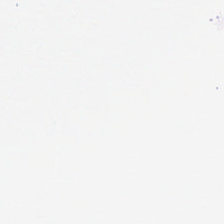Hematoxylin and eosin.
Q: What does this patch show?
A: This is background.
